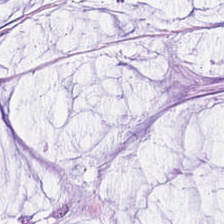Hematoxylin and eosin; 224×224 px tile; 0.5 µm per pixel — Mucus.
